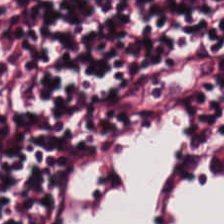Stain: hematoxylin-and-eosin stained section.
Preparation: FFPE tissue section.
Tissue: lymphocytes.
